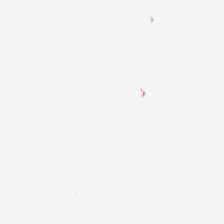H&E-stained tissue section · 0.5 microns per pixel — Finding — background (no tissue).
